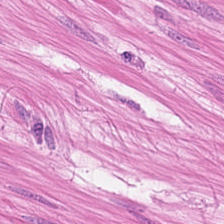FFPE; hematoxylin and eosin.
Showing smooth-muscle tissue.
